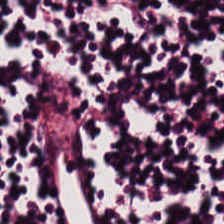Tissue = lymphocyte aggregate.
